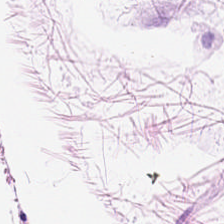Hematoxylin and eosin. Histology → adipose tissue.
